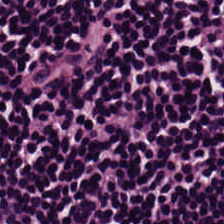H&E-stained tissue section.
Lymphocytic infiltrate.
